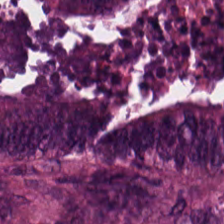H&E; 0.5 µm/px; whole-slide-image patch.
Q: What does this patch show?
A: Colorectal adenocarcinoma epithelium.
